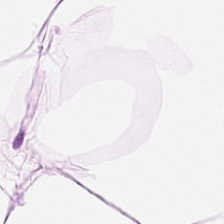H&E-stained tissue section. Predominantly adipose.
